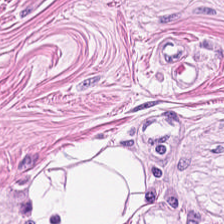Formalin-fixed paraffin-embedded section · H&E stain. The tissue here is muscularis.
